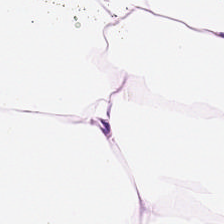Hematoxylin and eosin — Tissue class — adipocytes.
